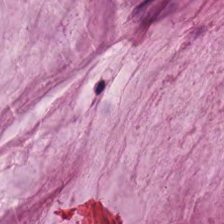Hematoxylin-and-eosin stained section · FFPE · 0.5 microns per pixel — Impression — mucin.
